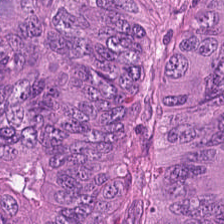H&E. The tissue here is tumor epithelium.
